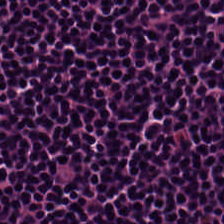Stain: hematoxylin-and-eosin stained section.
Resolution: 0.5 µm/px.
Tissue: lymphocytic infiltrate.
